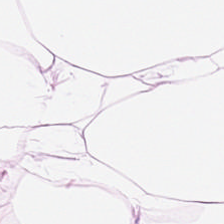H&E. This field is adipose.
